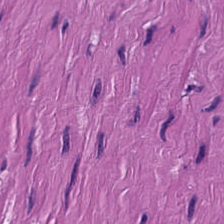224×224 px patch. Hematoxylin-and-eosin stained section. Tissue = smooth muscle.
